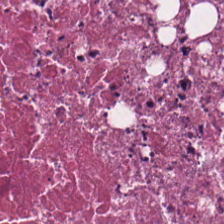Tissue class: necrotic debris.
